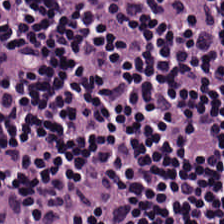H&E.
Showing lymphocytes.
